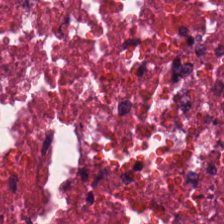Stain: H&E stain.
Predominant tissue: cellular debris.
